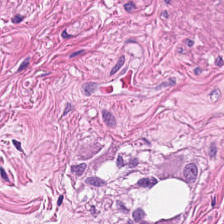Hematoxylin and eosin · WSI patch. This patch shows muscularis.
